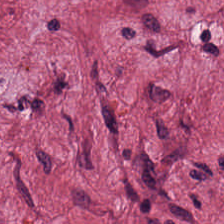Hematoxylin and eosin. Tissue class — cancer-associated stroma.
